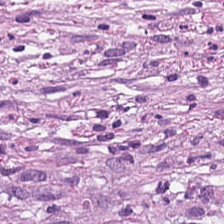0.5 µm/px · H&E stain.
The predominant tissue is desmoplastic stroma.
